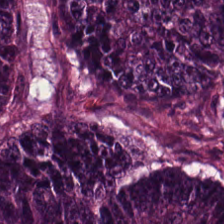Stain: H&E stain.
Tissue type: colorectal adenocarcinoma epithelium.
